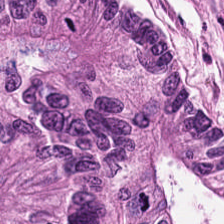Q: Classify this patch.
A: The field shows malignant epithelium.
